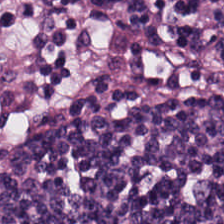Hematoxylin and eosin — {"tissue_type": "lymphocytes"}
